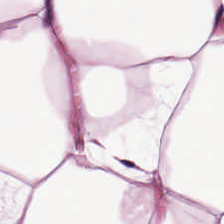H&E-stained tissue section. Q: What is the predominant tissue type?
A: The field shows adipose.
